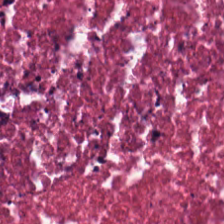H&E-stained tissue section — The predominant tissue is cellular debris.
